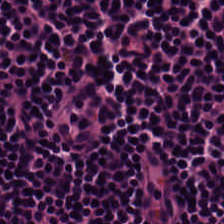H&E · brightfield microscopy · FFPE tissue section. Predominantly lymphoid infiltrate.
